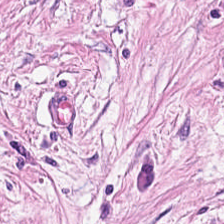Formalin-fixed paraffin-embedded section; hematoxylin and eosin — Predominantly tumor-associated stroma.
